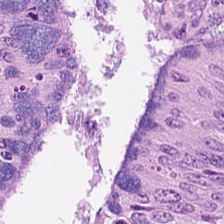Q: Classify this patch.
A: It is malignant epithelium.
